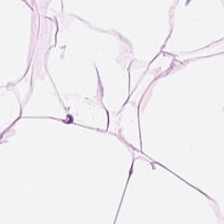H&E. Predominant tissue = adipose tissue.
